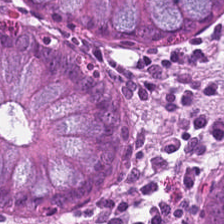Hematoxylin and eosin — Q: What is shown in this field?
A: The field shows normal colon mucosa.
